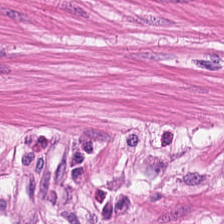WSI patch · FFPE · H&E. This field is smooth muscle.
